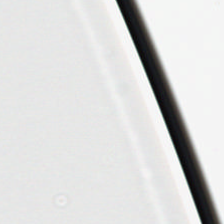H&E. Background.
